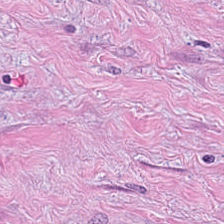H&E stain.
Showing tumor stroma.
